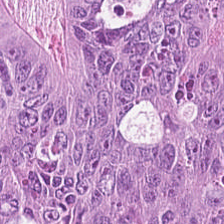H&E-stained tissue section — Q: What is shown in this field?
A: Malignant epithelium.
